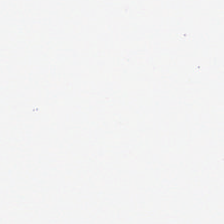This field is background (no tissue).
